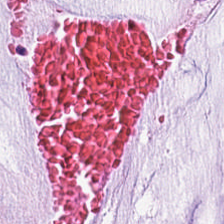Stain: H&E-stained tissue section.
Tissue class: mucin.
